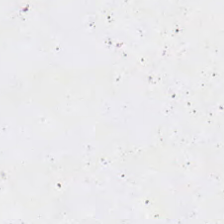H&E stain; 224×224 pixel tile — Background (no tissue).
